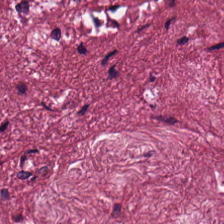224×224 px tile · H&E-stained tissue section.
Q: What is shown here?
A: This is tumor stroma.
